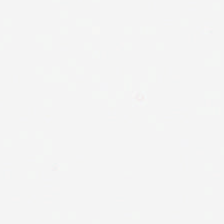H&E.
This patch shows no tissue.
